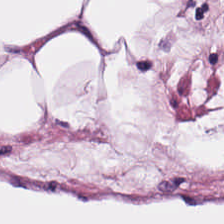Hematoxylin and eosin · WSI patch · FFPE tissue section — Tissue type — fat tissue.
